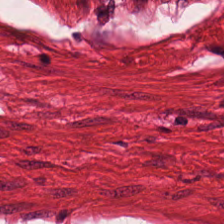Hematoxylin and eosin · 0.5 µm per pixel — This field is muscularis.
